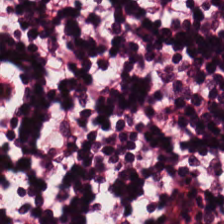Hematoxylin and eosin · brightfield microscopy. The predominant tissue is lymphoid infiltrate.
